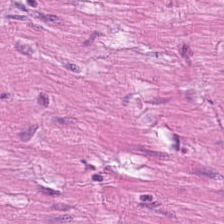0.5 µm per pixel. Hematoxylin and eosin.
Tissue class = muscularis.
